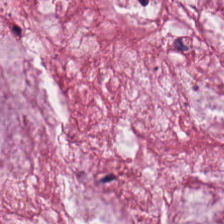Hematoxylin-and-eosin stained section — Histology → mucus.
